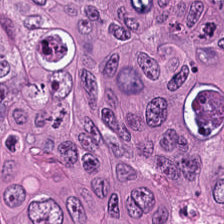H&E-stained tissue section. The predominant tissue is malignant epithelium.
